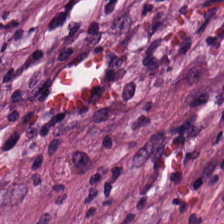H&E — Q: What tissue is shown?
A: It is desmoplastic stroma.
